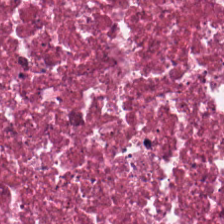Impression — debris.
